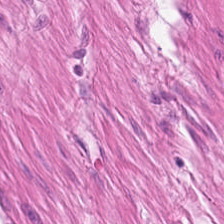Hematoxylin-and-eosin stained section. Classification — smooth muscle.
